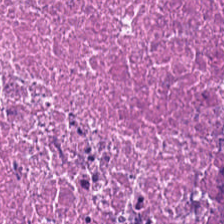Hematoxylin-and-eosin stained section.
Q: What tissue is shown?
A: The field shows necrotic debris.
